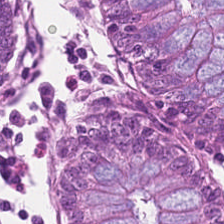Q: Classify this patch.
A: Normal colon mucosa.
